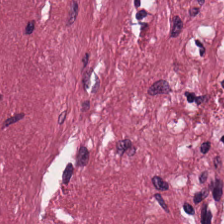H&E stain. The tissue here is cancer-associated stroma.
